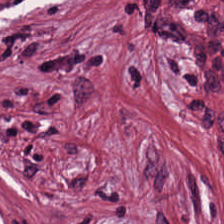Stain: hematoxylin-and-eosin stained section.
Tissue: tumor stroma.
